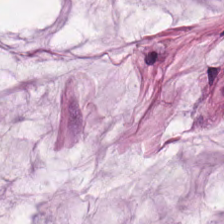H&E.
Histology — mucus.
